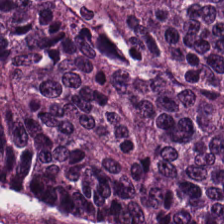Impression → adenocarcinoma.
